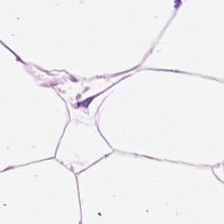Whole-slide-image patch. H&E stain. Showing fat tissue.
